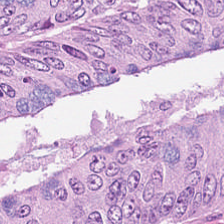H&E-stained tissue section.
Q: What does this patch show?
A: The field shows malignant epithelium.
